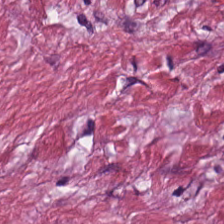Stain: hematoxylin-and-eosin stained section.
Tissue: cancer-associated stroma.
